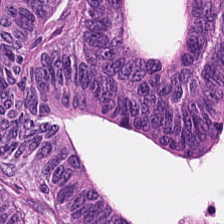Q: Identify the tissue.
A: Tumor epithelium.
